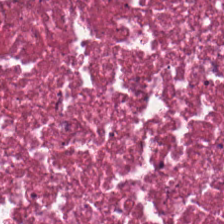H&E stain. This patch shows debris.
